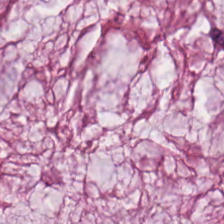H&E-stained tissue section. Predominantly extracellular mucin.
